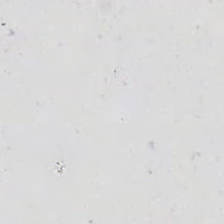Stain: hematoxylin-and-eosin stained section.
Field content: empty background.
